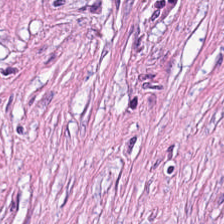224×224 pixel tile; H&E stain; 0.5 µm per pixel.
Tissue type = tumor-associated stroma.
